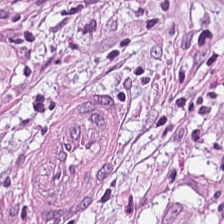224×224 pixel tile. H&E stain.
The predominant tissue is tumor stroma.
